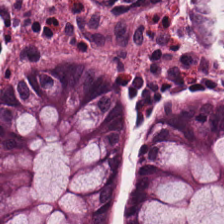Hematoxylin and eosin — This field is non-neoplastic colon mucosa.
